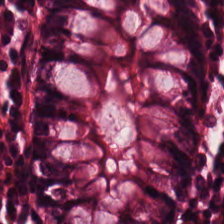Hematoxylin-and-eosin stained section — Predominantly non-neoplastic colon mucosa.
